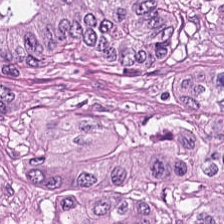H&E-stained tissue section · WSI patch · formalin-fixed paraffin-embedded section. Q: Classify this patch.
A: This is colorectal adenocarcinoma.
